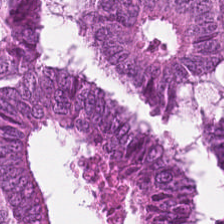Stain: H&E stain.
Classification: tumor epithelium.
